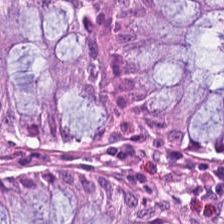H&E-stained tissue section. 224×224 pixel tile — Histology → benign colonic mucosa.
